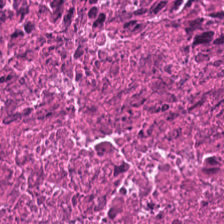H&E. 0.5 microns per pixel. Predominant tissue: debris.
